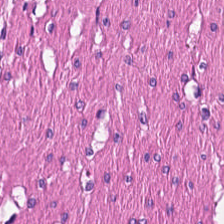Formalin-fixed paraffin-embedded section; brightfield microscopy; H&E stain. {"tissue_type": "smooth muscle"}
